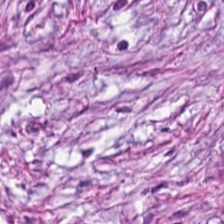Hematoxylin-and-eosin stained section · 0.5 microns per pixel. The tissue is desmoplastic stroma.
